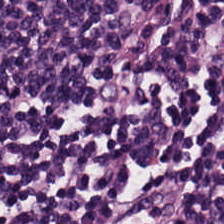WSI patch · H&E.
Impression — lymphoid infiltrate.
